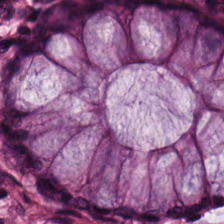This patch shows normal colonic mucosa.
